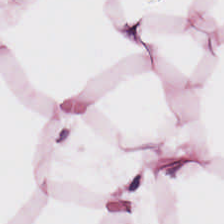H&E stain; FFPE; brightfield — Q: What tissue is shown?
A: It is adipose tissue.
